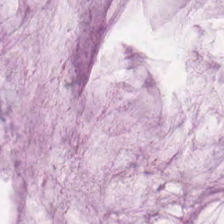H&E stain.
Tissue type — mucin.
